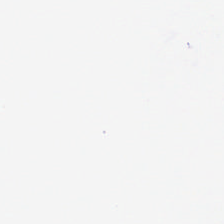H&E-stained tissue section. Content — empty background.
